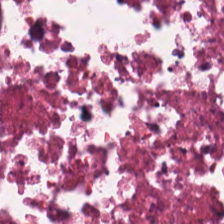224×224 px patch · hematoxylin-and-eosin stained section · 0.5 microns per pixel. Classification — debris.
